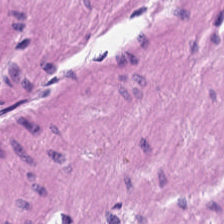Stain: H&E stain.
Tile size: 224×224 pixel tile.
Tissue class: smooth muscle.
